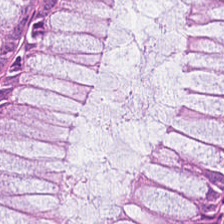Stain: H&E stain.
Resolution: 20× equivalent magnification.
Tile size: 224×224 pixel tile.
Tissue: normal colonic mucosa.
